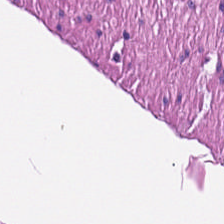Classification — muscularis.
